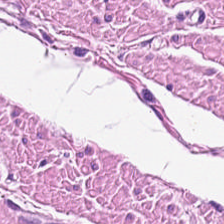224×224 px patch · H&E-stained tissue section.
This field is smooth-muscle tissue.
